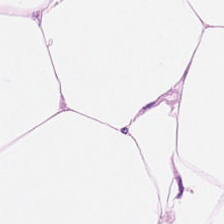Tissue type — adipose tissue.
